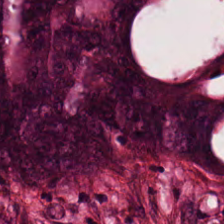Stain: H&E-stained tissue section.
Tissue class: colorectal adenocarcinoma epithelium.
